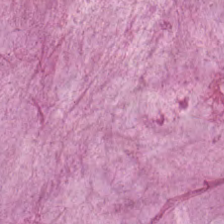0.5 µm per pixel; 224×224 pixel tile; H&E stain.
Q: Identify the tissue.
A: The field shows mucus.
